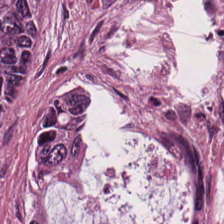Hematoxylin and eosin. 224×224 pixel tile. FFPE tissue section — The tissue here is colorectal adenocarcinoma.
